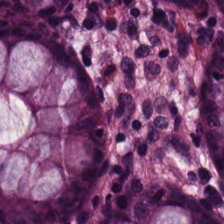The tissue here is normal colon mucosa.
